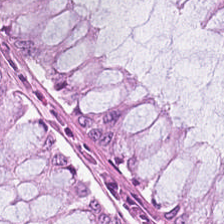H&E.
Tissue class = normal colon mucosa.
